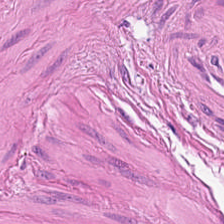H&E stain.
Finding — smooth muscle.
